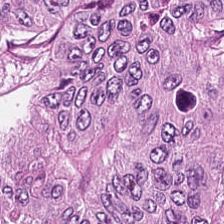H&E.
{"tissue_type": "tumor epithelium"}
